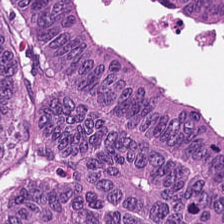Stain: H&E stain.
Tissue: adenocarcinoma.
